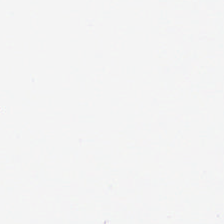H&E. The field content is background (no tissue).
